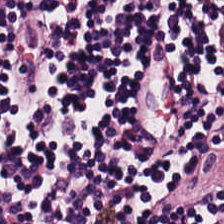Hematoxylin-and-eosin stained section.
This patch shows lymphoid infiltrate.
